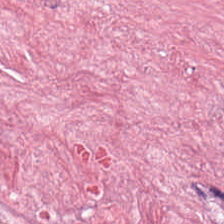FFPE. H&E-stained tissue section. 224×224 px patch. {"tissue_type": "tumor stroma"}
